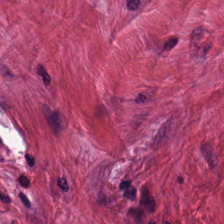H&E · formalin-fixed paraffin-embedded section. Predominant tissue = cancer-associated stroma.
